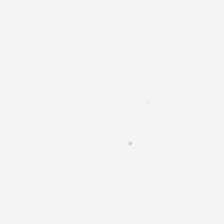Stain: H&E stain.
Field content: background.
